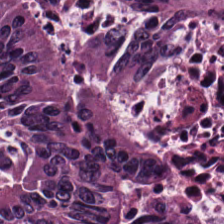Hematoxylin-and-eosin stained section — This patch shows colorectal adenocarcinoma.
